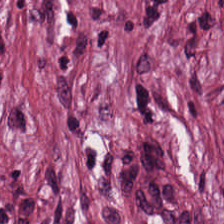FFPE tissue section. H&E. {"tissue_type": "tumor stroma"}
